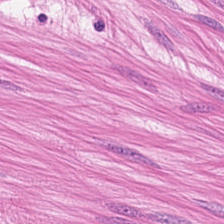224×224 px tile; H&E.
Tissue type: smooth-muscle tissue.
